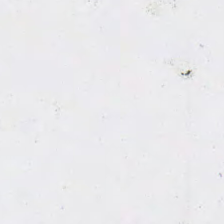Hematoxylin and eosin.
Classification — empty background.
